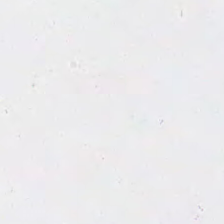Formalin-fixed paraffin-embedded section. H&E stain. 224×224 px tile — Q: What is shown here?
A: Empty background.
